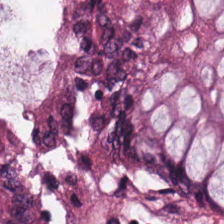Hematoxylin-and-eosin stained section. Predominantly normal colonic mucosa.
